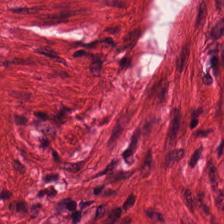This patch shows smooth muscle.
